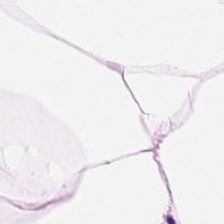Stain: H&E-stained tissue section.
Tissue class: adipose.
